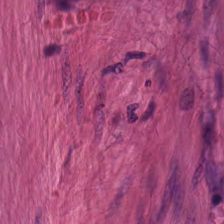H&E — Q: What tissue type is shown here?
A: This is smooth muscle.
